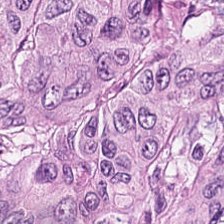224×224 px tile; H&E-stained tissue section; brightfield microscopy.
Finding → adenocarcinoma.
